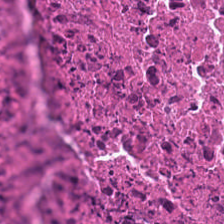H&E — necrotic debris.
